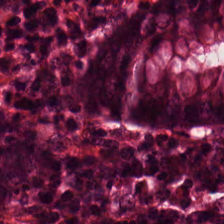Hematoxylin-and-eosin section: normal colonic mucosa.
